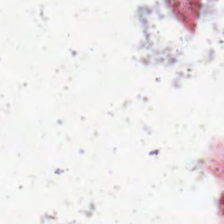H&E-stained tissue section.
Content — background.
